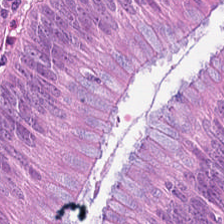Stain: hematoxylin-and-eosin stained section.
Classification: colorectal adenocarcinoma.
